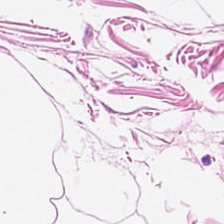Hematoxylin-and-eosin stained section.
This patch shows adipocytes.
